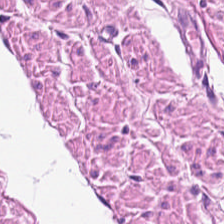H&E. Brightfield. 0.5 µm/px.
The tissue type is muscularis.
